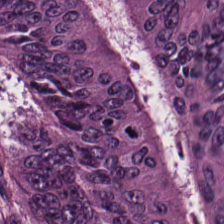Stain: H&E-stained tissue section.
Acquisition: brightfield.
Tissue type: colorectal adenocarcinoma epithelium.
